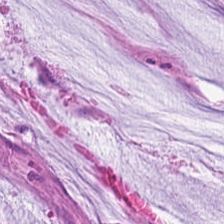Q: Identify the tissue.
A: This is extracellular mucin.
